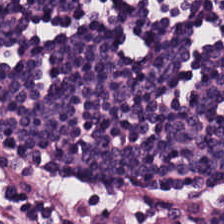Stain: hematoxylin-and-eosin stained section.
Preparation: FFPE tissue section.
Tissue: lymphocytes.
